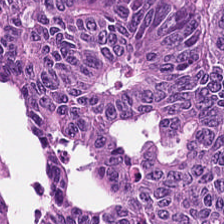Hematoxylin and eosin.
Impression — malignant epithelium.
